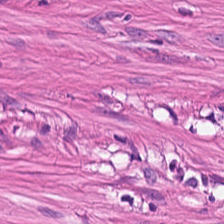H&E-stained tissue section.
Tissue class — muscularis.
